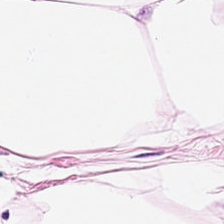WSI patch; hematoxylin-and-eosin stained section. Q: Identify the tissue.
A: It is fat tissue.
